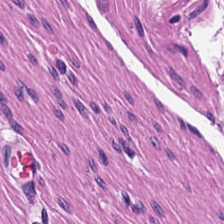Stain: H&E.
Tissue class: smooth muscle.
